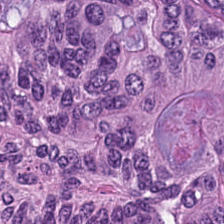Formalin-fixed paraffin-embedded section; H&E. The tissue here is tumor epithelium.
